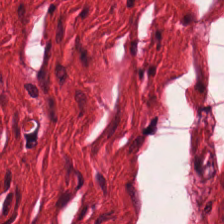Hematoxylin-and-eosin stained section — Smooth-muscle tissue.
